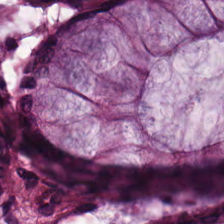This patch shows benign colonic mucosa.
